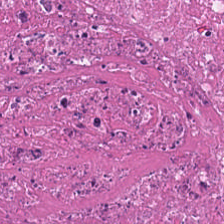Hematoxylin-and-eosin stained section. {"tissue_type": "cellular debris"}
